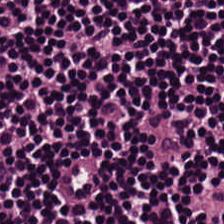H&E · formalin-fixed paraffin-embedded section · brightfield — Q: What is shown in this field?
A: It is lymphocytic infiltrate.
